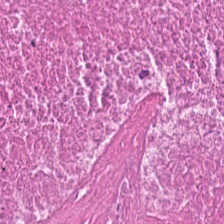Hematoxylin and eosin. This patch shows necrotic debris.
